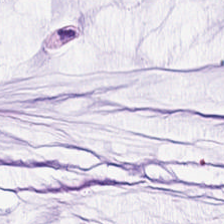Classification — mucin.
